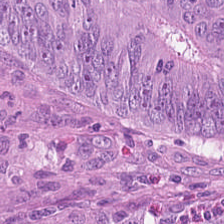The predominant tissue is colorectal adenocarcinoma epithelium.
